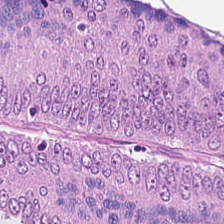224×224 px tile · H&E.
Impression — colorectal adenocarcinoma epithelium.
